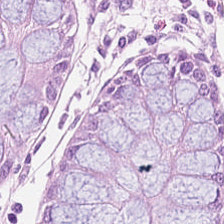20× equivalent magnification; H&E-stained tissue section — Finding → normal colon mucosa.
